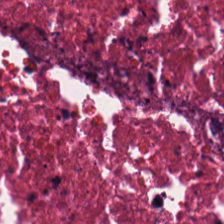Stain: H&E-stained tissue section.
Acquisition: whole-slide-image patch.
Tissue type: necrotic debris.
